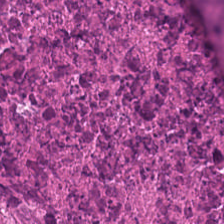Stain: H&E.
Tile size: 224×224 px patch.
Classification: debris.
